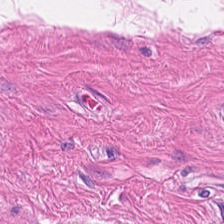H&E-stained tissue section showing smooth muscle.
